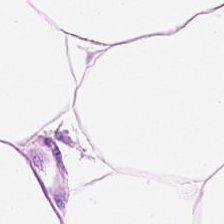Hematoxylin-and-eosin stained section.
This patch shows adipose tissue.
